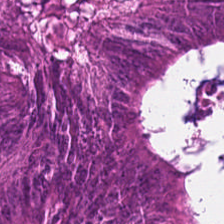H&E. Tissue — colorectal adenocarcinoma.
